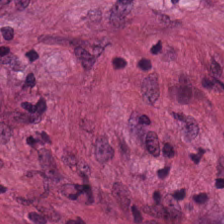Hematoxylin-and-eosin stained section. Classification: cancer-associated stroma.
